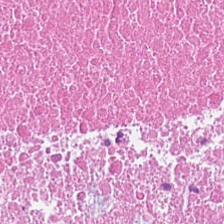Whole-slide-image patch. H&E stain.
Tissue: necrotic debris.
